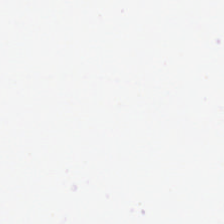WSI patch · H&E-stained tissue section. Finding → background (no tissue).
